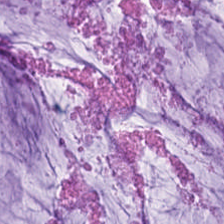H&E-stained tissue section. Q: What type of tissue is this?
A: The field shows extracellular mucin.
